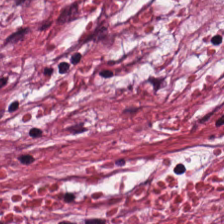H&E — tumor stroma.
